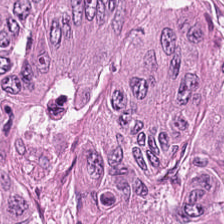H&E · FFPE.
Predominant tissue — tumor epithelium.
